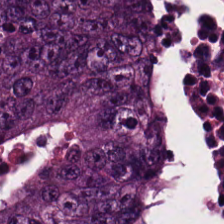This field is malignant epithelium.
